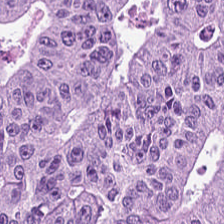Stain: hematoxylin and eosin.
Acquisition: brightfield.
Tissue: malignant epithelium.
